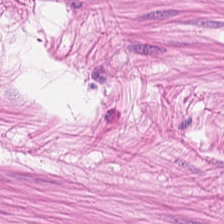Stain: H&E stain.
Acquisition: whole-slide-image patch.
Classification: smooth muscle.
